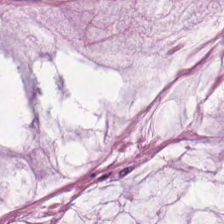Hematoxylin-and-eosin stained section. Brightfield. 224×224 pixel tile — Predominant tissue — extracellular mucin.
